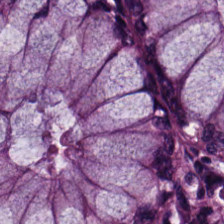H&E-stained tissue section.
Q: What is the predominant tissue type?
A: Non-neoplastic colon mucosa.
